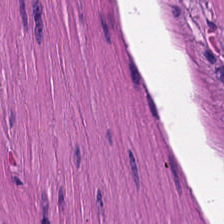Q: What is shown here?
A: Smooth muscle.
